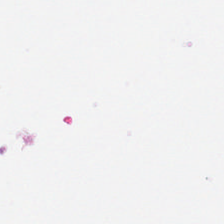H&E stain. 224×224 pixel tile. 0.5 microns per pixel — No tissue present; background only.
